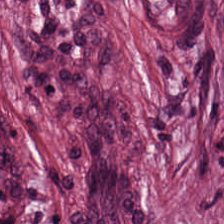H&E-stained tissue section; brightfield microscopy. Q: What is the predominant tissue type?
A: It is desmoplastic stroma.
